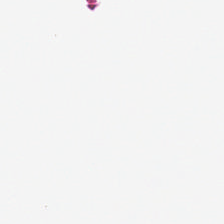Hematoxylin and eosin — This field is background (no tissue).
